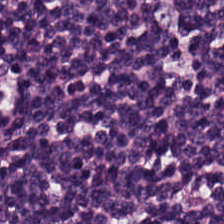H&E-stained tissue section; whole-slide-image patch; formalin-fixed paraffin-embedded section — Predominant tissue = lymphoid infiltrate.
